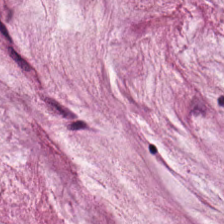Hematoxylin and eosin.
Predominantly extracellular mucin.
